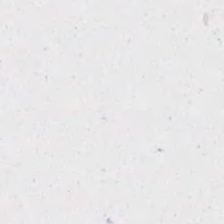Hematoxylin and eosin — The content is empty background.
